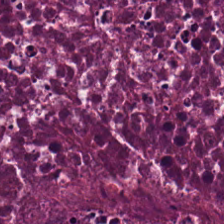Formalin-fixed paraffin-embedded section; hematoxylin-and-eosin stained section. The tissue here is cellular debris.
